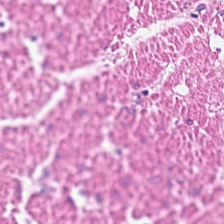Hematoxylin-and-eosin stained section. Tissue type = smooth muscle.
